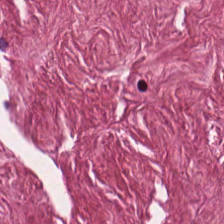H&E-stained tissue section.
The predominant tissue is cancer-associated stroma.
